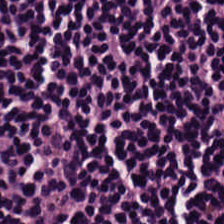Hematoxylin-and-eosin stained section. 0.5 microns per pixel.
Lymphocyte aggregate.
